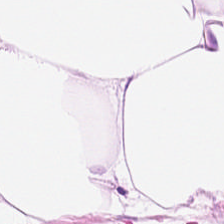FFPE tissue section; H&E stain. This patch shows adipose tissue.
